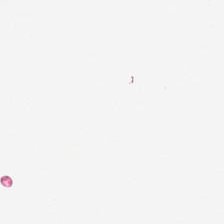No tissue present; background only.
